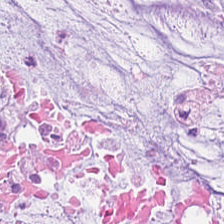Predominantly mucin.
